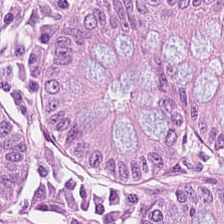H&E-stained tissue section. 224×224 px tile. 20× equivalent magnification.
Tissue = benign colonic mucosa.
